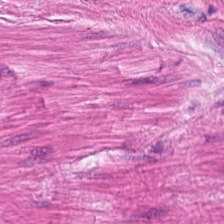Hematoxylin-and-eosin stained section — Tissue type = smooth muscle.
